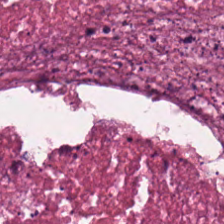The tissue is cellular debris.
